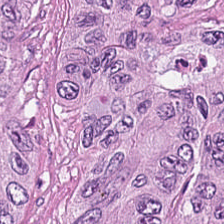224×224 px patch · hematoxylin and eosin. This field is adenocarcinoma.
